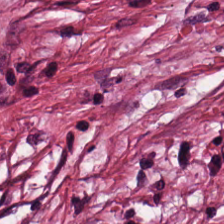Q: Identify the tissue.
A: The field shows cancer-associated stroma.
